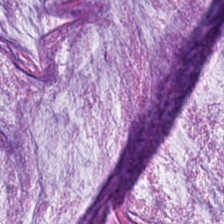0.5 microns per pixel · H&E · brightfield — Tissue type: mucus.
